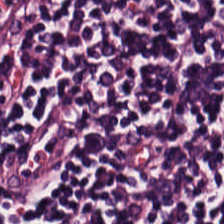FFPE · hematoxylin and eosin — Tissue: lymphocytes.
